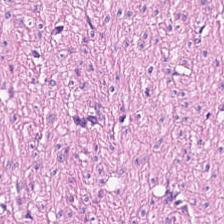Hematoxylin and eosin — The predominant tissue is smooth muscle.
